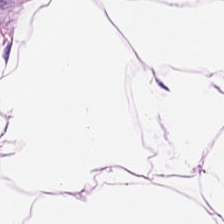Hematoxylin-and-eosin stained section; 224×224 pixel tile; FFPE — Showing adipose tissue.
